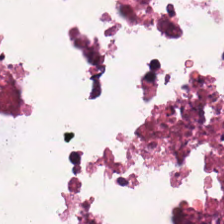Stain: hematoxylin and eosin.
Tissue: cellular debris.
